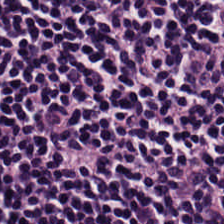FFPE · 0.5 microns per pixel · hematoxylin-and-eosin stained section — Lymphocyte aggregate.
